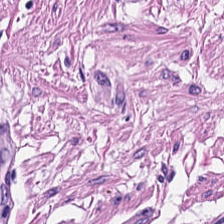H&E-stained tissue section. Histology → smooth-muscle tissue.
